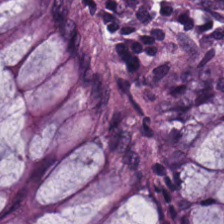Hematoxylin-and-eosin stained section. Q: What is shown here?
A: Normal colonic mucosa.
